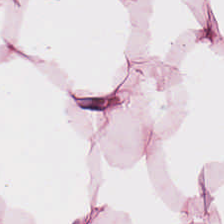H&E-stained tissue section.
Showing adipose tissue.
